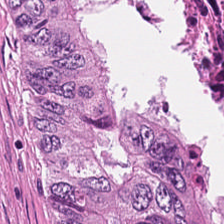H&E patch showing cellular debris.
